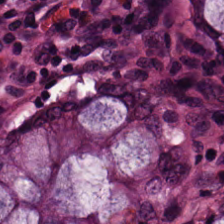Predominant tissue: non-neoplastic colon mucosa.
